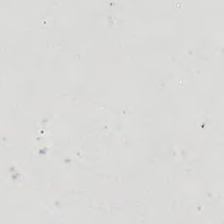Impression → no tissue.
